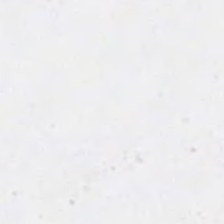This patch shows no tissue.
